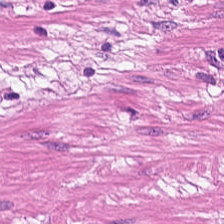WSI patch · H&E stain.
The predominant tissue is smooth muscle.
